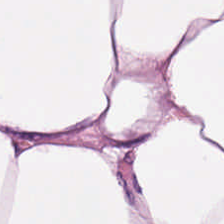Stain: H&E-stained tissue section.
Tissue: adipose.
